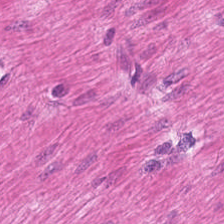The tissue type is muscularis.
